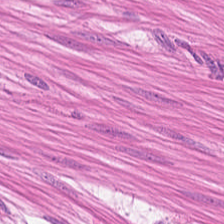Brightfield · hematoxylin and eosin · 0.5 µm per pixel. Smooth muscle.
